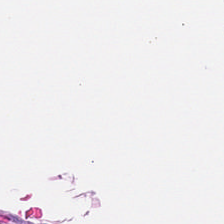Hematoxylin-and-eosin stained section.
The tissue here is muscularis.
